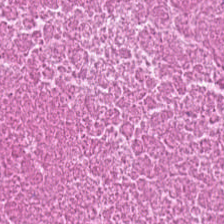Hematoxylin-and-eosin stained section · WSI patch.
{"tissue_type": "cellular debris"}
